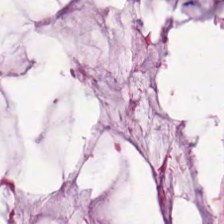H&E-stained tissue section showing mucin.
